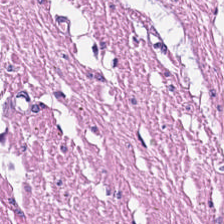H&E-stained tissue section. The predominant tissue is muscularis.
